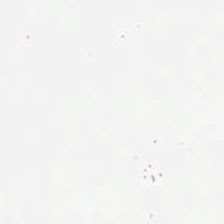H&E stain — {"content": "no tissue"}
